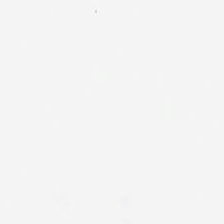H&E; 224×224 px patch; WSI patch — This field is background (no tissue).
